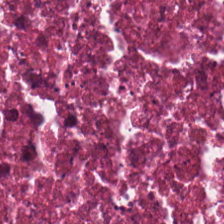0.5 microns per pixel · H&E-stained tissue section · 224×224 px patch — This field is debris.
